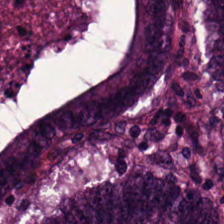H&E.
Predominantly tumor epithelium.
